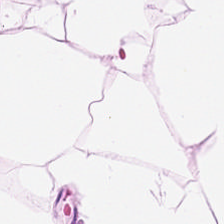FFPE. Hematoxylin-and-eosin stained section — Tissue class = adipose tissue.
